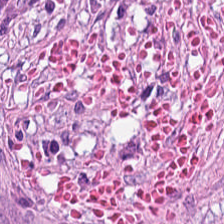Stain: hematoxylin-and-eosin stained section.
Preparation: FFPE tissue section.
Resolution: 20× equivalent magnification.
Tissue type: tumor-associated stroma.
